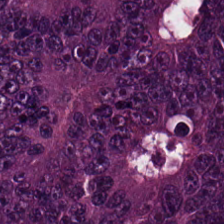Finding → adenocarcinoma.
